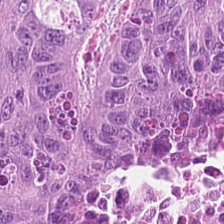Hematoxylin and eosin.
Classification — adenocarcinoma.
